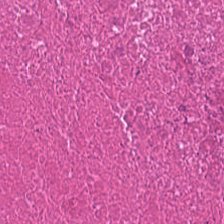H&E-stained tissue section; FFPE.
Tissue type: debris.
